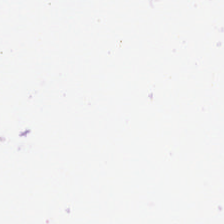H&E stain. No tissue present; background only.
